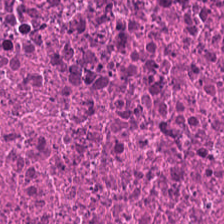H&E stain · 0.5 µm per pixel.
This field is necrotic debris.
